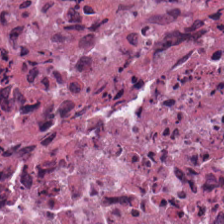Hematoxylin and eosin · 224×224 px patch. Classification: cellular debris.
